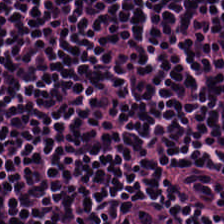This patch shows lymphocyte aggregate.
